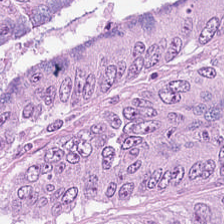Hematoxylin-and-eosin stained section. WSI patch. 0.5 microns per pixel.
This field is tumor epithelium.
